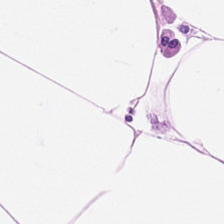Hematoxylin and eosin; 20× equivalent magnification; 224×224 px tile. Q: What tissue type is shown here?
A: It is adipose tissue.
